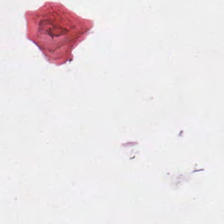Whole-slide-image patch; hematoxylin-and-eosin stained section — Q: What is shown here?
A: No tissue.
